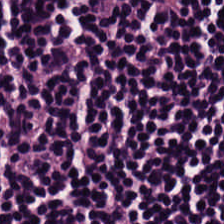H&E.
{"tissue_type": "lymphocyte aggregate"}
